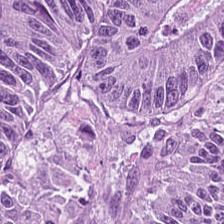H&E. The tissue here is malignant epithelium.
